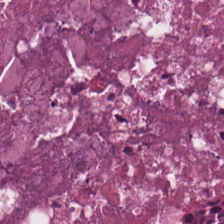224×224 pixel tile · hematoxylin-and-eosin stained section — The tissue here is necrotic debris.
